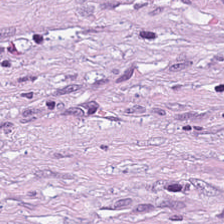H&E stain. The tissue type is tumor-associated stroma.
